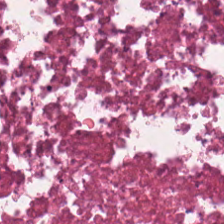Hematoxylin and eosin. Formalin-fixed paraffin-embedded section.
Tissue type: debris.
